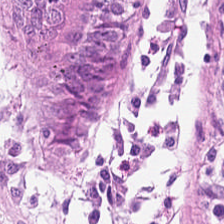Stain: H&E.
Predominant tissue: benign colonic mucosa.
